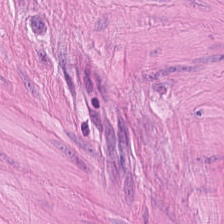Hematoxylin and eosin — Showing smooth-muscle tissue.
